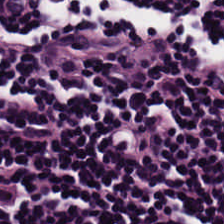{"tissue_type": "lymphocytic infiltrate"}
